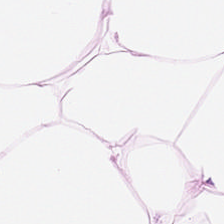WSI patch; H&E; 20× equivalent magnification.
Q: What tissue type is shown here?
A: This is adipose tissue.
